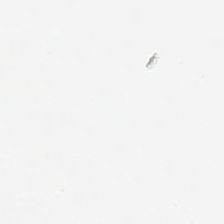The content is empty background.
